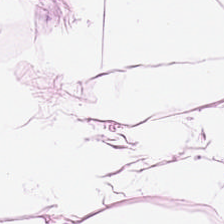Q: What tissue type is shown here?
A: Adipocytes.
